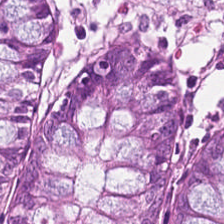Stain: H&E-stained tissue section.
Tile size: 224×224 pixel tile.
Predominant tissue: normal colonic mucosa.
